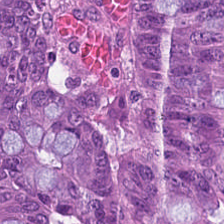Stain: H&E stain.
Tissue type: colorectal adenocarcinoma.
